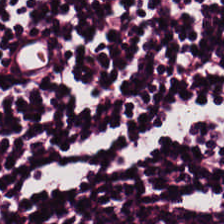WSI patch; hematoxylin-and-eosin stained section.
The tissue here is lymphoid infiltrate.
